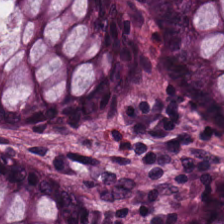WSI patch; FFPE tissue section; H&E stain.
The classification is normal colon mucosa.
